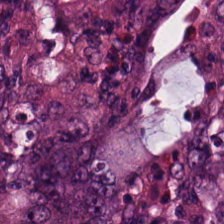Stain: hematoxylin-and-eosin stained section.
Predominant tissue: tumor epithelium.
